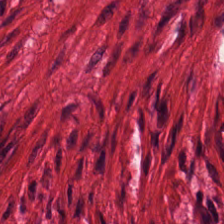Tissue class: muscularis.
